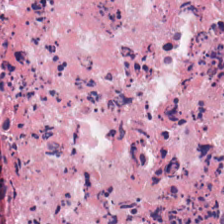Classification = necrotic debris.
